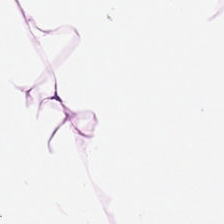Hematoxylin and eosin — Predominantly fat tissue.
